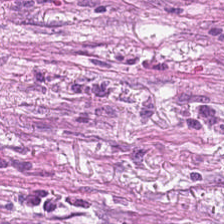224×224 px patch · hematoxylin-and-eosin stained section. Q: Identify the tissue.
A: It is cancer-associated stroma.
